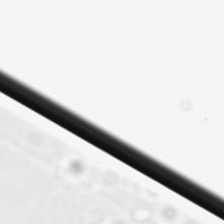Hematoxylin and eosin.
Q: What does this patch show?
A: It is background.
